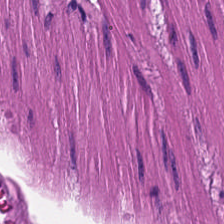Histology → smooth muscle.
